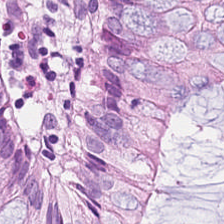H&E patch showing benign colonic mucosa.
